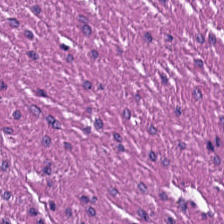H&E stain — Predominantly smooth muscle.
